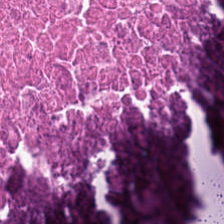Stain: hematoxylin-and-eosin stained section.
Tissue: debris.
